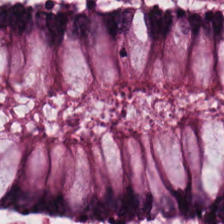Tissue — benign colonic mucosa.
